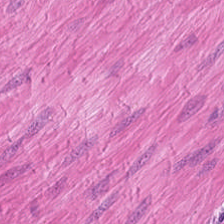Hematoxylin and eosin. 224×224 px tile.
The predominant tissue is muscularis.
